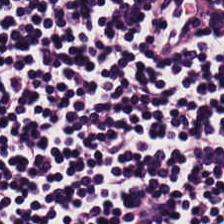FFPE. H&E-stained tissue section — Q: What is the predominant tissue type?
A: This is lymphoid infiltrate.
